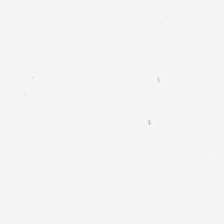Classification = background.
